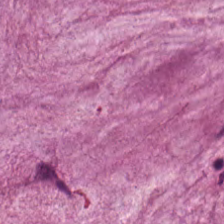H&E stain. 224×224 px tile. FFPE. Tissue type = mucus.
